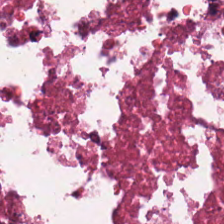Predominant tissue — cellular debris.
